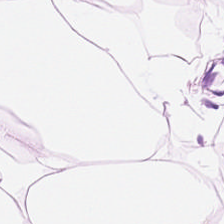H&E-stained tissue section — Adipose tissue.
